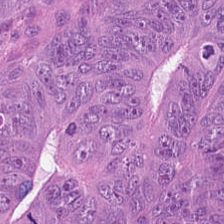Hematoxylin and eosin.
Tissue = colorectal adenocarcinoma epithelium.
